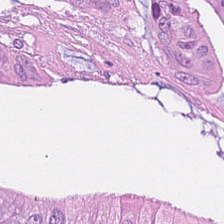Stain: H&E stain.
Tile size: 224×224 pixel tile.
Classification: malignant epithelium.
